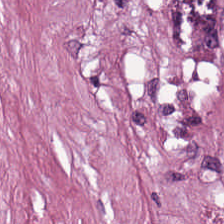Stain: H&E.
Acquisition: whole-slide-image patch.
Preparation: FFPE.
Tissue type: tumor-associated stroma.
